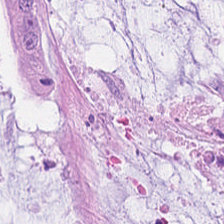H&E. Mucus.
